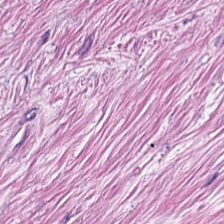H&E — Tumor-associated stroma.
